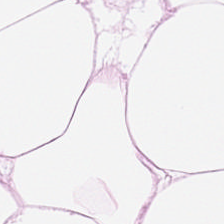Hematoxylin and eosin.
Tissue type = adipose tissue.
